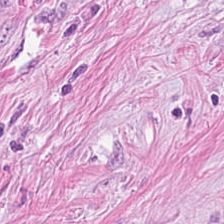Formalin-fixed paraffin-embedded section; 20× equivalent magnification; H&E stain. Tissue type = tumor-associated stroma.
